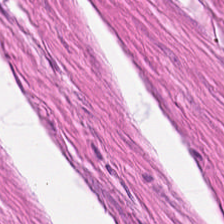Hematoxylin-and-eosin stained section.
Impression — smooth-muscle tissue.
